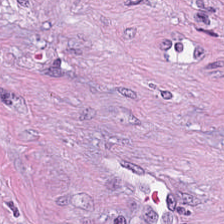Stain: H&E.
Tissue class: cancer-associated stroma.
